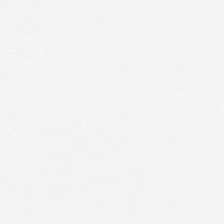Q: What is shown here?
A: This is no tissue.
